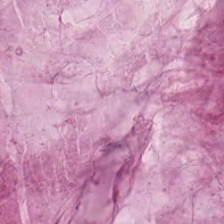H&E stain · FFPE. The tissue class is mucus.
